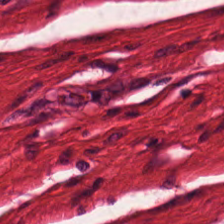H&E patch showing smooth muscle.
